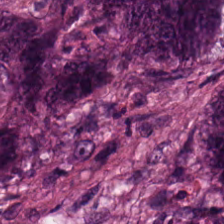H&E.
Predominantly colorectal adenocarcinoma epithelium.
